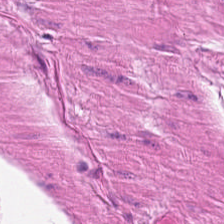Hematoxylin-and-eosin stained section. Formalin-fixed paraffin-embedded section. 224×224 pixel tile — Impression → smooth muscle.
